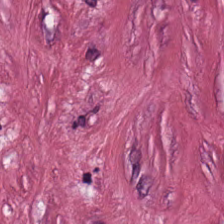Cancer-associated stroma.
